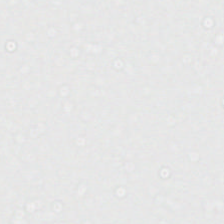0.5 µm/px; hematoxylin and eosin.
Q: Classify this patch.
A: Background.
